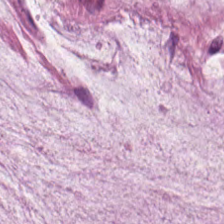224×224 px patch; H&E stain; 0.5 µm/px — The tissue is mucin.
